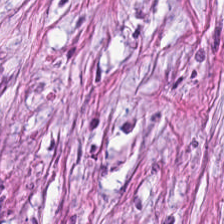H&E — tumor-associated stroma.
